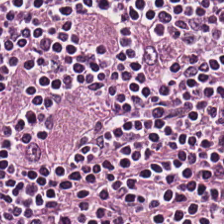H&E.
The tissue here is lymphocyte aggregate.
